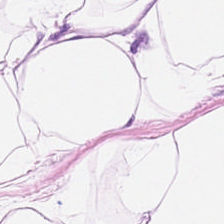The tissue here is adipocytes.
